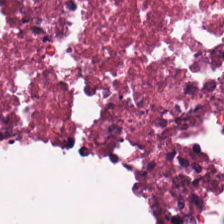H&E stain — This patch shows cellular debris.
